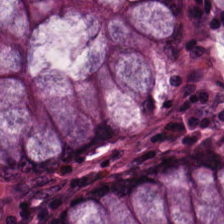H&E stain. 0.5 µm/px. Formalin-fixed paraffin-embedded section — Tissue type: normal colonic mucosa.
